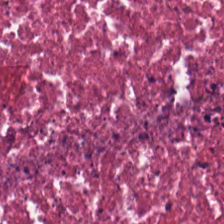Showing cellular debris.
